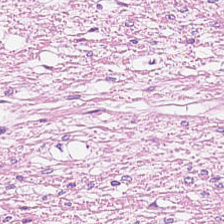Hematoxylin-and-eosin stained section. This patch shows smooth-muscle tissue.
